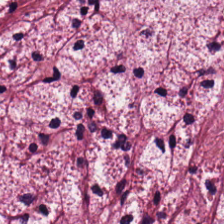H&E stain.
Predominantly tumor stroma.
